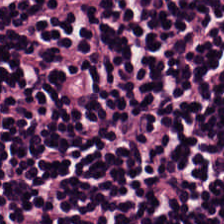{"tissue_type": "lymphocytes"}
